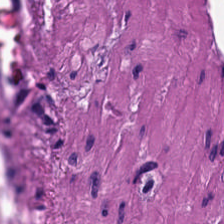Stain: hematoxylin-and-eosin stained section.
Tissue class: smooth-muscle tissue.
